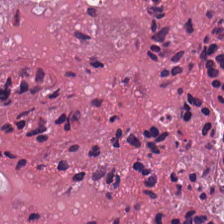H&E; 224×224 px patch; FFPE.
Predominantly debris.
